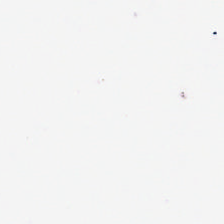Empty field — background.
